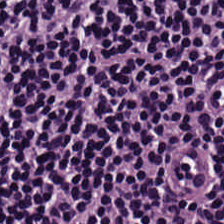H&E-stained tissue section · brightfield microscopy. Tissue = lymphocyte aggregate.
